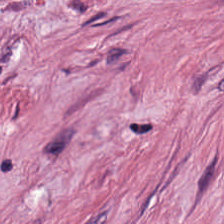Hematoxylin and eosin. The tissue here is desmoplastic stroma.
